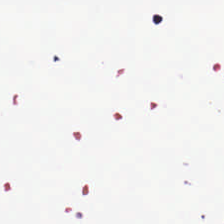Hematoxylin and eosin · whole-slide-image patch.
Content: empty background.
